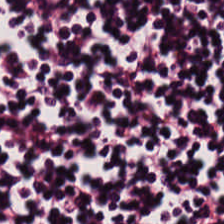Stain: H&E stain.
Resolution: 0.5 microns per pixel.
Acquisition: brightfield.
Tissue: lymphocytic infiltrate.
